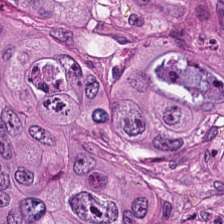224×224 px tile · hematoxylin-and-eosin stained section — Q: Identify the tissue.
A: It is malignant epithelium.
